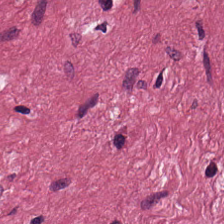H&E-stained tissue section.
Q: What is shown here?
A: Tumor stroma.
